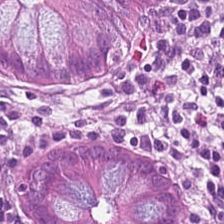H&E-stained tissue section — This patch shows benign colonic mucosa.
